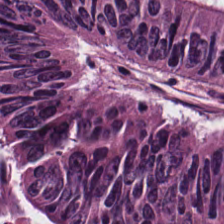Hematoxylin-and-eosin stained section — The predominant tissue is colorectal adenocarcinoma epithelium.
